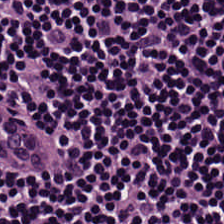Stain: H&E.
Tissue class: lymphocytes.
